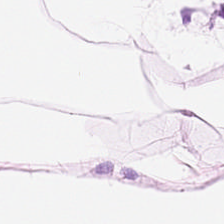Stain: H&E-stained tissue section.
Classification: adipose tissue.
